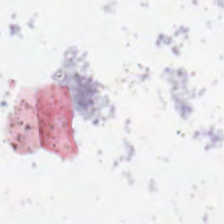H&E stain. Formalin-fixed paraffin-embedded section. Empty background.
